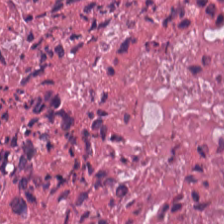Hematoxylin-and-eosin stained section. Q: What type of tissue is this?
A: This is necrotic debris.
